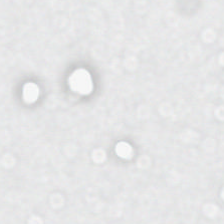The classification is empty background.
